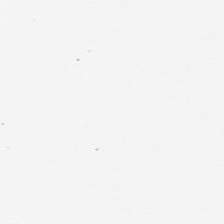Stain: H&E.
Classification: background.
